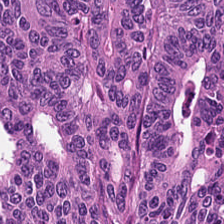Stain: H&E-stained tissue section.
Resolution: 0.5 microns per pixel.
Predominant tissue: colorectal adenocarcinoma.
